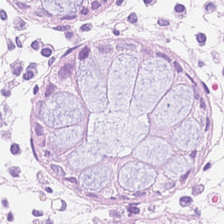H&E patch showing normal colonic mucosa.
